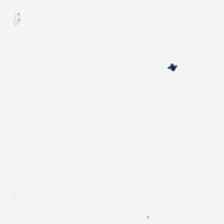Hematoxylin and eosin. FFPE.
Classification — empty background.
